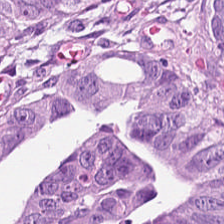H&E. This patch shows adenocarcinoma.
